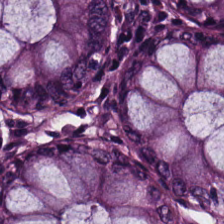Hematoxylin-and-eosin stained section.
Q: What is the predominant tissue type?
A: Benign colonic mucosa.
